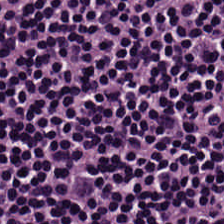This patch shows lymphocytic infiltrate.
